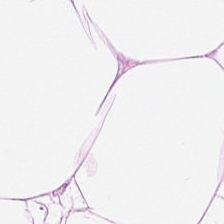H&E. Q: What does this patch show?
A: Adipocytes.
